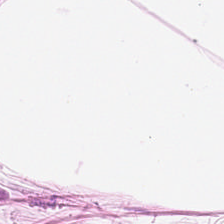H&E stain · WSI patch — Predominantly adipocytes.
